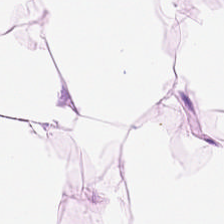Hematoxylin and eosin — Q: What tissue type is shown here?
A: This is adipose.
